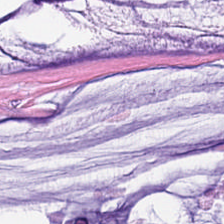20× equivalent magnification; H&E — Tissue type: mucin.
